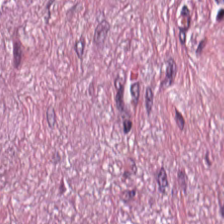FFPE tissue section; H&E stain. {"tissue_type": "desmoplastic stroma"}
